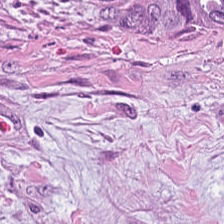Stain: hematoxylin and eosin.
Tissue: desmoplastic stroma.
